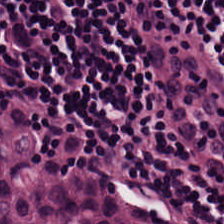Lymphocytic infiltrate.
